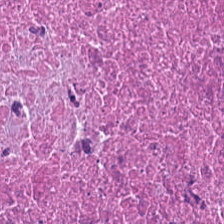H&E-stained tissue section — Tissue: necrotic debris.
